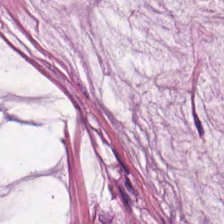H&E-stained tissue section. This field is mucus.
